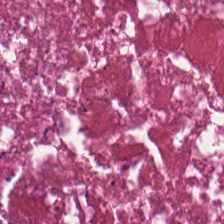H&E-stained tissue section — Q: What type of tissue is this?
A: It is necrotic debris.
